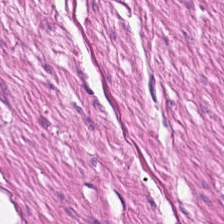Classification — muscularis.
